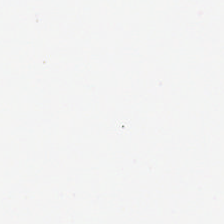Hematoxylin-and-eosin stained section. Q: Classify this patch.
A: The field shows no tissue.
